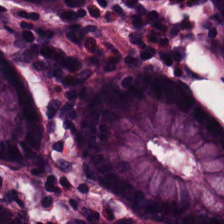H&E · 0.5 µm/px. The tissue class is non-neoplastic colon mucosa.
